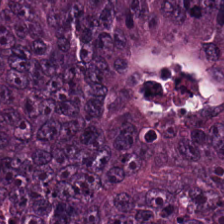This field is adenocarcinoma.
